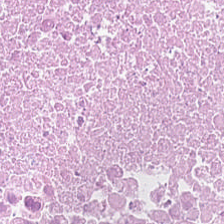Hematoxylin and eosin · whole-slide-image patch.
The tissue here is cellular debris.
